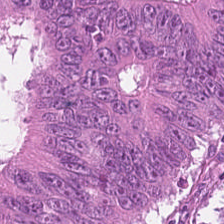Hematoxylin-and-eosin stained section. Histology — colorectal adenocarcinoma.
